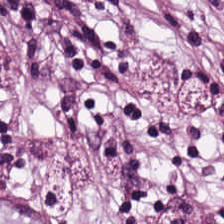Hematoxylin-and-eosin stained section; whole-slide-image patch; FFPE tissue section. The tissue type is cancer-associated stroma.
